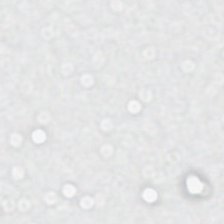Stain: H&E stain.
Field content: empty background.
